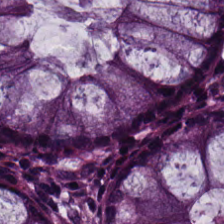H&E. Formalin-fixed paraffin-embedded section.
The predominant tissue is benign colonic mucosa.
